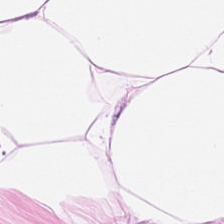The predominant tissue is adipose.
